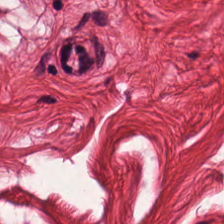H&E-stained tissue section. Showing smooth-muscle tissue.
